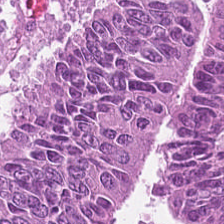Hematoxylin and eosin. Histology → adenocarcinoma.
